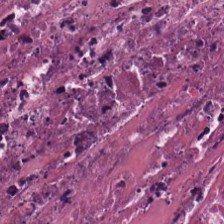Finding → debris.
